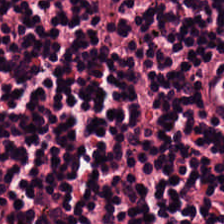Hematoxylin-and-eosin stained section. 224×224 px patch.
Q: Classify this patch.
A: This is lymphocyte aggregate.
